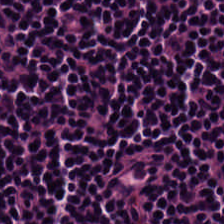Hematoxylin-and-eosin stained section. 20× equivalent magnification. 224×224 px patch — Lymphocytic infiltrate.
